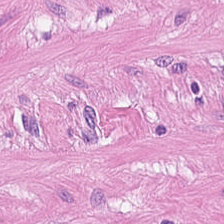Stain: H&E stain.
Tissue type: smooth-muscle tissue.
